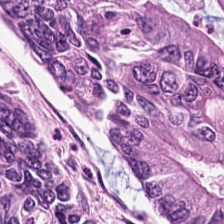H&E — The tissue is malignant epithelium.
